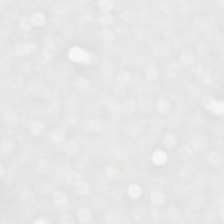Content: background.
